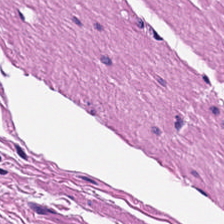Tissue type — muscularis.
